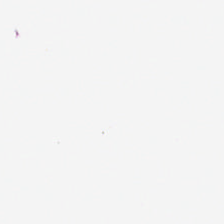The field content is background (no tissue).
